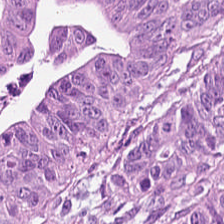Predominantly colorectal adenocarcinoma.
